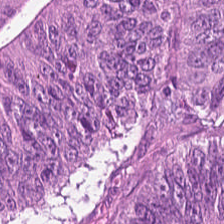H&E-stained tissue section.
The tissue here is malignant epithelium.
